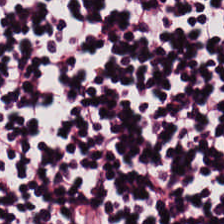Predominant tissue = lymphoid infiltrate.
